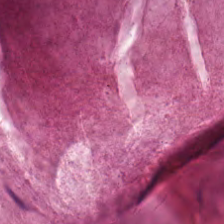Stain: H&E-stained tissue section.
Classification: mucus.
